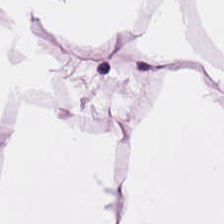Stain: hematoxylin-and-eosin stained section.
Classification: adipose tissue.
